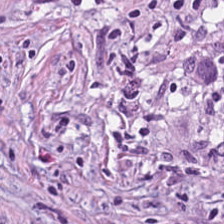Hematoxylin and eosin — Q: What type of tissue is this?
A: Tumor-associated stroma.
